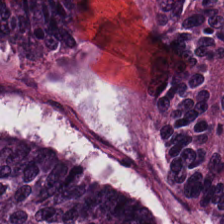Q: What is the predominant tissue type?
A: The field shows adenocarcinoma.
